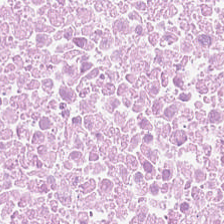H&E.
Tissue type — debris.
